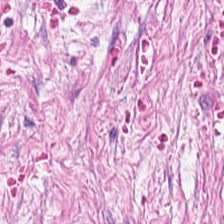Hematoxylin-and-eosin stained section. This patch shows desmoplastic stroma.
